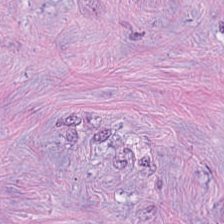224×224 pixel tile; H&E stain.
This patch shows tumor stroma.
